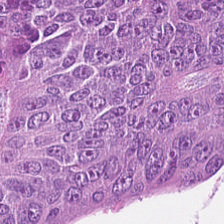Stain: hematoxylin-and-eosin stained section.
Tissue: tumor epithelium.
